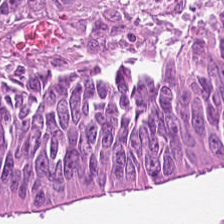Classification — colorectal adenocarcinoma.
